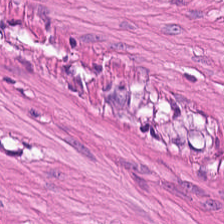0.5 microns per pixel; hematoxylin-and-eosin stained section — {"tissue_type": "smooth-muscle tissue"}
